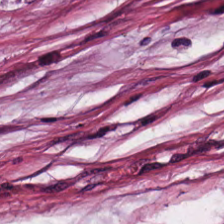Formalin-fixed paraffin-embedded section. H&E-stained tissue section.
Tissue — cancer-associated stroma.
